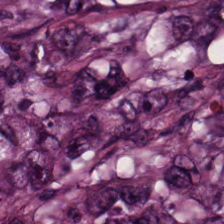224×224 px patch. H&E-stained tissue section. Formalin-fixed paraffin-embedded section.
The tissue here is adenocarcinoma.
